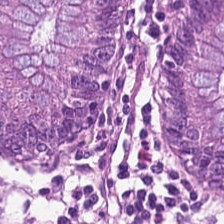This field is benign colonic mucosa.
